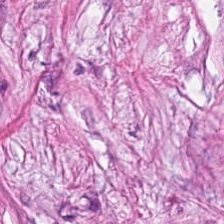H&E-stained tissue section — This patch shows desmoplastic stroma.
